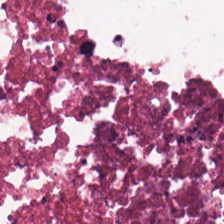H&E-stained tissue section. Tissue type = cellular debris.
